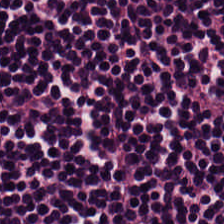H&E-stained tissue section.
Tissue: lymphoid infiltrate.
